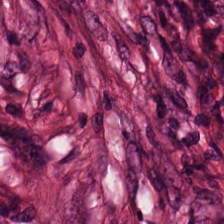H&E. Q: Classify this patch.
A: This is desmoplastic stroma.
